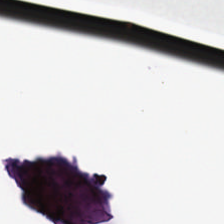This field is background (no tissue).
